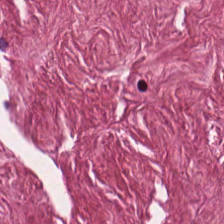H&E stain. 224×224 pixel tile.
This patch shows cancer-associated stroma.
